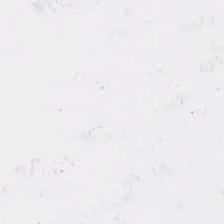H&E-stained tissue section. {"content": "background"}
